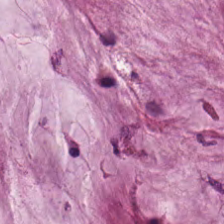H&E stain. Histology → mucus.
